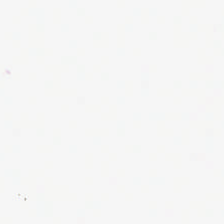FFPE tissue section; 0.5 µm/px; hematoxylin and eosin — The classification is empty background.
